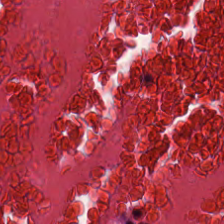Tissue type: cellular debris.
